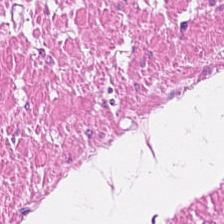Q: What does this patch show?
A: This is muscularis.
